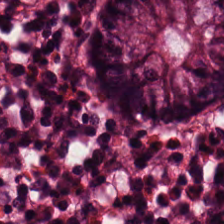H&E stain.
Q: What is shown in this field?
A: The field shows benign colonic mucosa.
